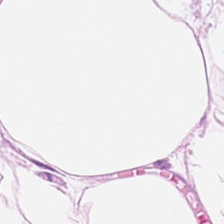Stain: hematoxylin-and-eosin stained section.
Classification: fat tissue.
